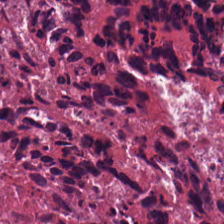Q: What does this patch show?
A: Cellular debris.
